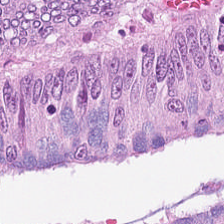Hematoxylin-and-eosin stained section; 224×224 px tile. Malignant epithelium.
